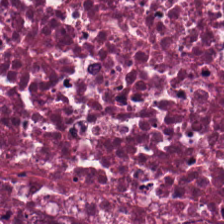Hematoxylin-and-eosin stained section.
This field is debris.
